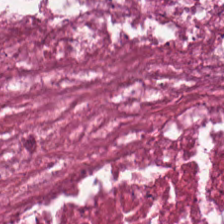FFPE. Hematoxylin-and-eosin stained section. Predominantly debris.
